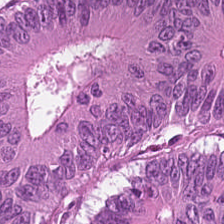Hematoxylin and eosin. {"tissue_type": "colorectal adenocarcinoma"}
